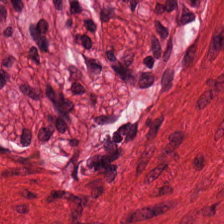Hematoxylin-and-eosin section: smooth-muscle tissue.
